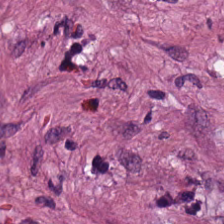Hematoxylin-and-eosin section: tumor stroma.
